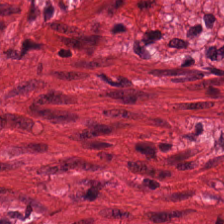224×224 px patch · hematoxylin-and-eosin stained section — Q: Classify this patch.
A: The field shows muscularis.
